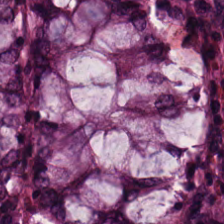224×224 px tile; H&E stain.
Predominantly benign colonic mucosa.
